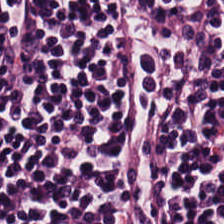The predominant tissue is lymphocytic infiltrate.
